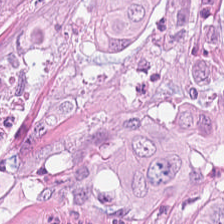Stain: hematoxylin-and-eosin stained section.
Tissue: colorectal adenocarcinoma epithelium.
